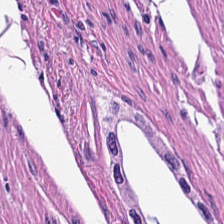H&E — Showing smooth muscle.
